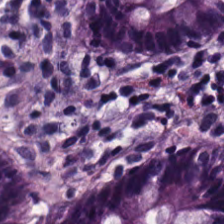Q: What type of tissue is this?
A: This is normal colonic mucosa.
